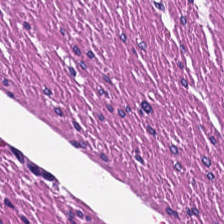Hematoxylin-and-eosin stained section.
Showing smooth muscle.
